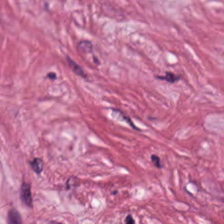H&E-stained tissue section. 224×224 pixel tile — Tissue: desmoplastic stroma.
